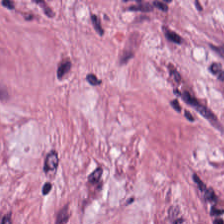FFPE tissue section · 20× equivalent magnification · hematoxylin and eosin. Impression → desmoplastic stroma.
